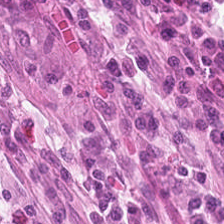Hematoxylin-and-eosin stained section — Normal colonic mucosa.
